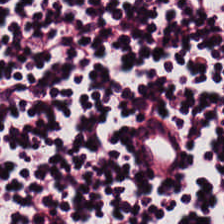Showing lymphoid infiltrate.
